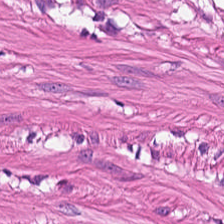Hematoxylin and eosin.
The tissue is muscularis.
